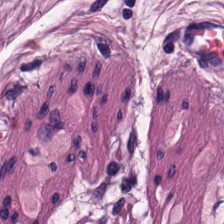Hematoxylin and eosin. Finding — smooth muscle.
